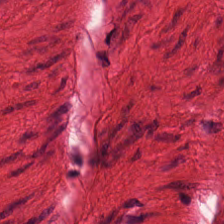Hematoxylin and eosin — Predominant tissue: smooth muscle.
